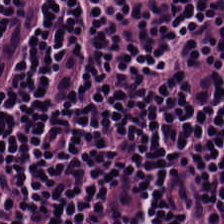H&E — Histology → lymphocytic infiltrate.
